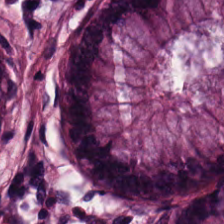H&E-stained section; the field shows benign colonic mucosa.
